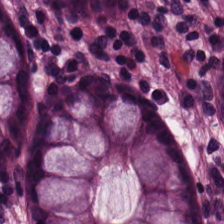Finding — normal colonic mucosa.
